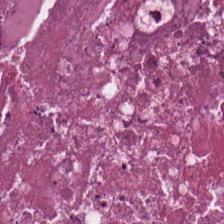FFPE; H&E. This patch shows cellular debris.
